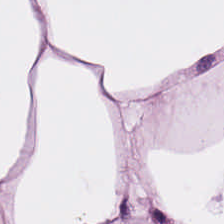H&E-stained tissue section — Q: What type of tissue is this?
A: The field shows fat tissue.
